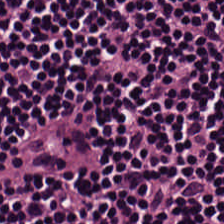FFPE. H&E.
Classification: lymphocytes.
